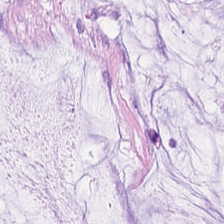FFPE tissue section · brightfield microscopy · H&E — Extracellular mucin.
